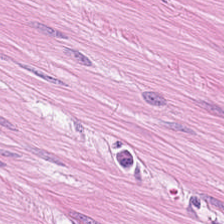224×224 px patch. Brightfield. Hematoxylin and eosin. The tissue class is muscularis.
